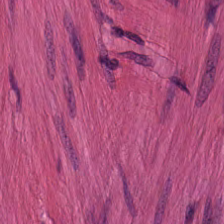Q: What is shown in this field?
A: This is smooth muscle.
